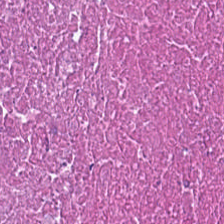Whole-slide-image patch. H&E. Tissue type = debris.
